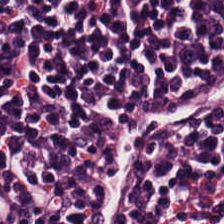Stain: H&E.
Tissue: lymphocyte aggregate.
